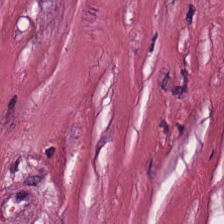{"tissue_type": "desmoplastic stroma"}
